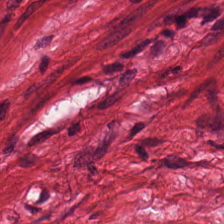H&E stain · 0.5 µm/px · brightfield.
Q: What is the predominant tissue type?
A: It is smooth-muscle tissue.
